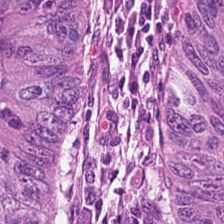H&E · FFPE tissue section — Impression — colorectal adenocarcinoma.
